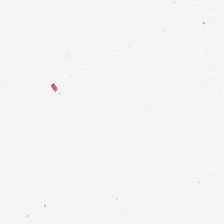Background.
